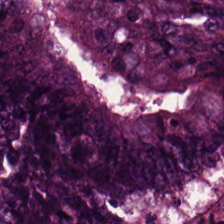H&E · 20× equivalent magnification. Q: Identify the tissue.
A: The field shows malignant epithelium.
